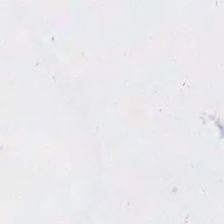H&E stain — {"content": "background (no tissue)"}
